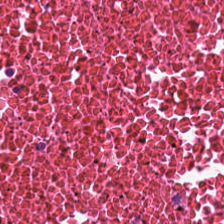Tissue — necrotic debris.
